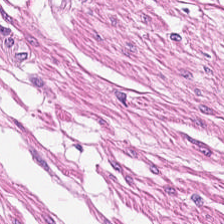H&E stain.
Tissue type: smooth muscle.
